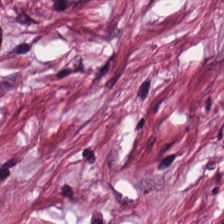Hematoxylin-and-eosin section: cancer-associated stroma.
